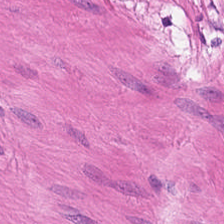H&E stain — Tissue class = smooth-muscle tissue.
